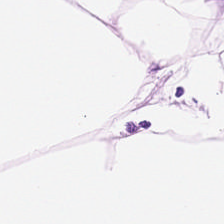20× equivalent magnification; hematoxylin-and-eosin stained section. Histology → adipose.
